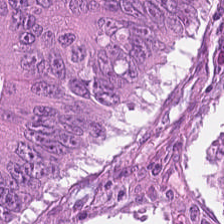H&E stain. Classification — malignant epithelium.
